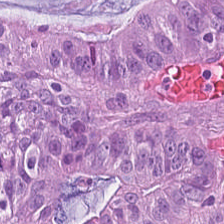0.5 µm/px · hematoxylin-and-eosin stained section.
{"tissue_type": "adenocarcinoma"}
